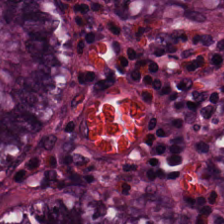Hematoxylin and eosin.
Histology — normal colonic mucosa.
